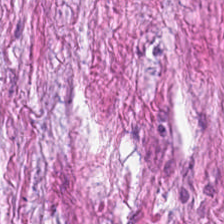H&E · FFPE · 0.5 µm per pixel. Impression → tumor-associated stroma.
